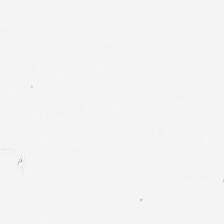Hematoxylin and eosin.
Finding — background (no tissue).
